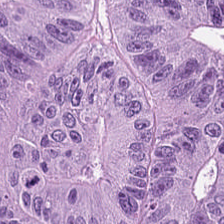224×224 px patch. H&E-stained tissue section. 20× equivalent magnification. Predominantly tumor epithelium.
